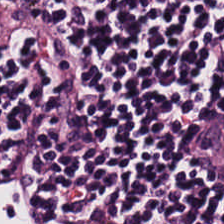This patch shows lymphoid infiltrate.
